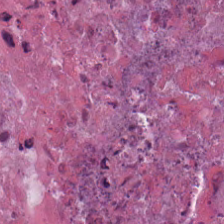0.5 µm per pixel; WSI patch; H&E-stained tissue section. Showing necrotic debris.
